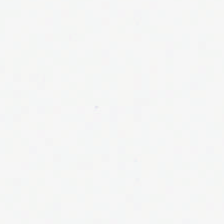H&E stain · 0.5 µm/px · formalin-fixed paraffin-embedded section.
Content: background.
